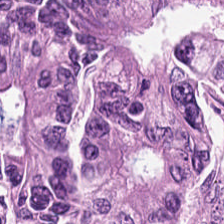H&E.
Q: What tissue is shown?
A: The field shows malignant epithelium.
